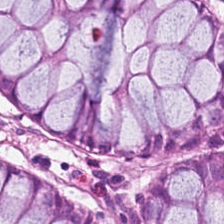Hematoxylin and eosin — Classification — non-neoplastic colon mucosa.
